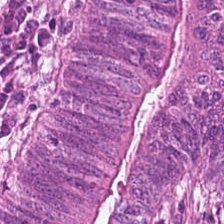H&E.
Classification = colorectal adenocarcinoma.
